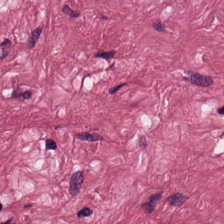Stain: H&E stain.
Predominant tissue: cancer-associated stroma.
